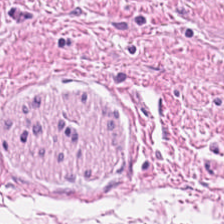Hematoxylin and eosin · brightfield.
Q: What tissue type is shown here?
A: Smooth-muscle tissue.
